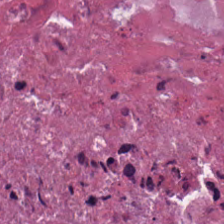224×224 px patch; hematoxylin-and-eosin stained section — Tissue type = debris.
